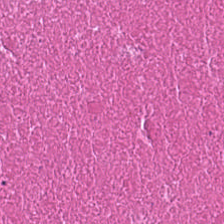Hematoxylin-and-eosin stained section. Predominantly necrotic debris.
